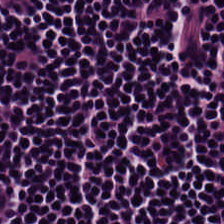Hematoxylin and eosin; 0.5 µm per pixel — The tissue is lymphocytic infiltrate.
